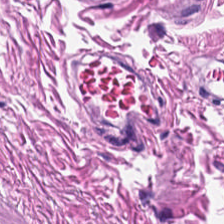H&E; 224×224 px tile; 0.5 µm per pixel.
{"tissue_type": "smooth muscle"}
